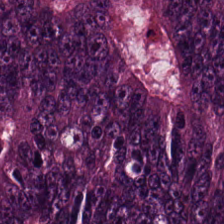H&E stain. Tissue type = colorectal adenocarcinoma epithelium.
